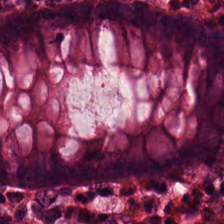Predominant tissue — non-neoplastic colon mucosa.
